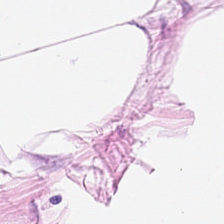Q: What is shown in this field?
A: It is adipocytes.
